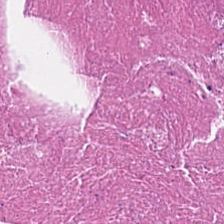Stain: H&E-stained tissue section.
Tissue: necrotic debris.
